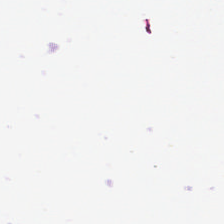Stain: hematoxylin and eosin.
Preparation: FFPE tissue section.
Classification: background (no tissue).
